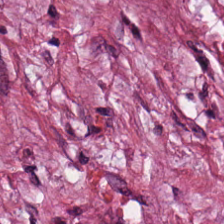H&E-stained section; the field shows cancer-associated stroma.
